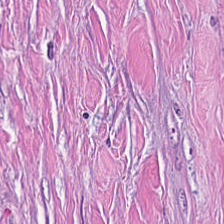Formalin-fixed paraffin-embedded section · hematoxylin and eosin. This patch shows cancer-associated stroma.
